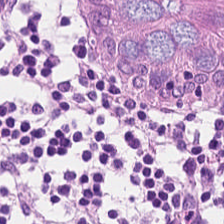Brightfield microscopy. H&E — Q: What is shown in this field?
A: This is normal colonic mucosa.
